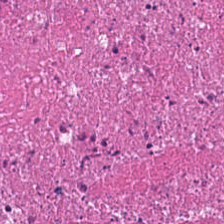Hematoxylin-and-eosin stained section. Q: What is shown in this field?
A: The field shows debris.
